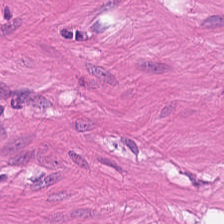224×224 px patch. Hematoxylin-and-eosin stained section — Q: What does this patch show?
A: This is smooth muscle.
